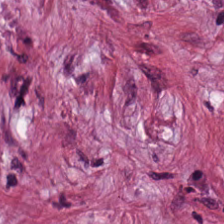Desmoplastic stroma.
